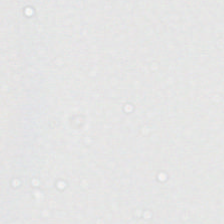H&E; 224×224 px patch; brightfield — This patch shows background (no tissue).
